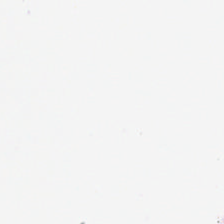Hematoxylin-and-eosin stained section · FFPE · brightfield. Q: What does this patch show?
A: The field shows no tissue.
